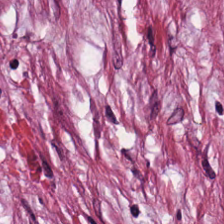Tissue type — tumor-associated stroma.
